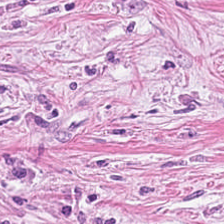H&E-stained tissue section · formalin-fixed paraffin-embedded section · 224×224 px patch.
Predominantly cancer-associated stroma.
